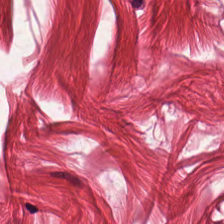Impression → smooth muscle.
